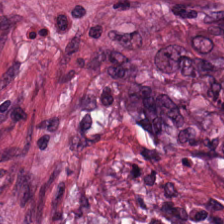H&E stain.
Predominant tissue — tumor-associated stroma.
